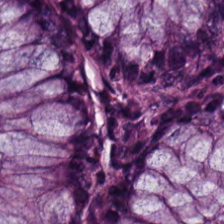Hematoxylin and eosin — Finding — normal colonic mucosa.
